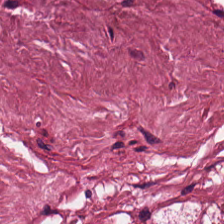0.5 microns per pixel. Formalin-fixed paraffin-embedded section. H&E.
Finding — tumor-associated stroma.
